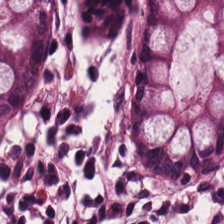Classification = normal colonic mucosa.
